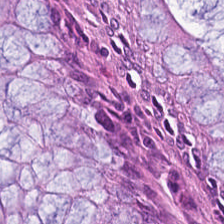H&E-stained tissue section; 0.5 µm per pixel. Showing normal colon mucosa.
